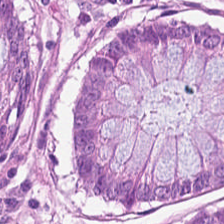Finding — non-neoplastic colon mucosa.
